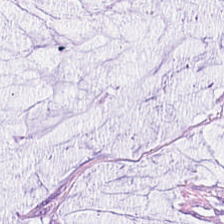Q: What is shown in this field?
A: Mucin.
